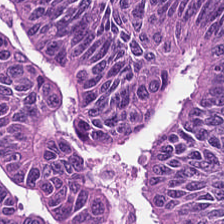Hematoxylin-and-eosin stained section · FFPE. Predominantly colorectal adenocarcinoma.
